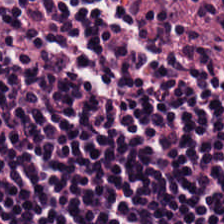Hematoxylin-and-eosin stained section.
Q: What is shown in this field?
A: This is lymphocytes.
